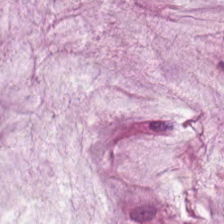Hematoxylin and eosin; 0.5 µm/px — The predominant tissue is extracellular mucin.
